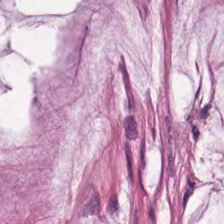H&E stain; brightfield. This patch shows mucus.
